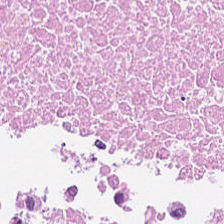Stain: hematoxylin and eosin.
Classification: necrotic debris.
